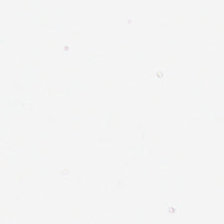Stain: H&E stain.
Content: no tissue.
